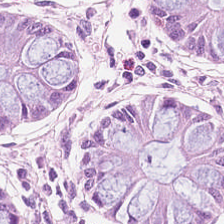The tissue type is normal colon mucosa.
